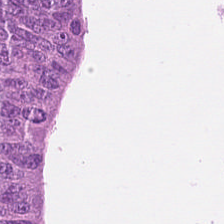Stain: H&E-stained tissue section.
Acquisition: WSI patch.
Tissue: adenocarcinoma.
